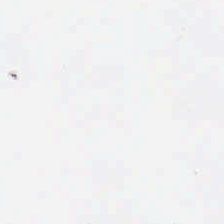Brightfield · H&E.
Background — no tissue in this field.
